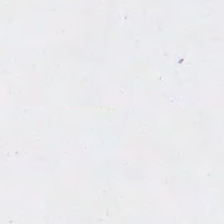Hematoxylin-and-eosin stained section. No tissue present; background only.
